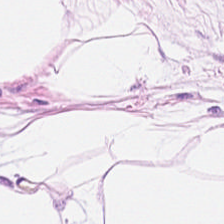0.5 µm per pixel. H&E stain.
Classification = adipose tissue.
